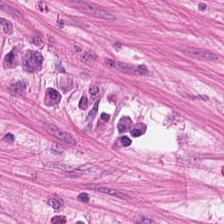Stain: H&E-stained tissue section.
Classification: smooth-muscle tissue.
